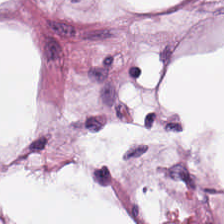H&E. Q: What is the predominant tissue type?
A: It is fat tissue.
